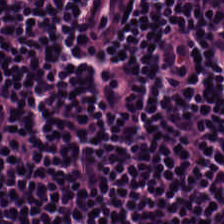Q: What is the predominant tissue type?
A: This is lymphocytes.
